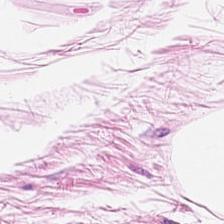H&E.
Predominantly fat tissue.
